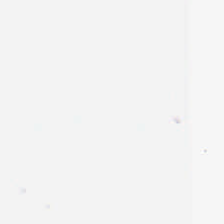The classification is background.
